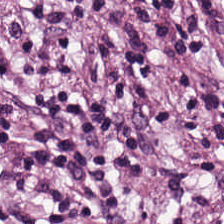Hematoxylin and eosin. Q: What is shown in this field?
A: It is tumor stroma.
